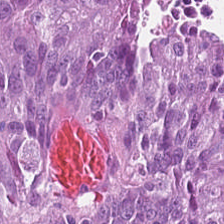This patch shows colorectal adenocarcinoma.
